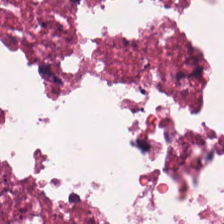H&E stain. This field is necrotic debris.
